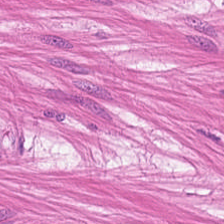The classification is smooth-muscle tissue.
